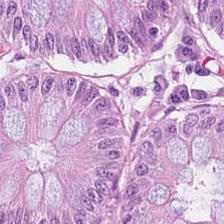H&E stain.
Finding — non-neoplastic colon mucosa.
